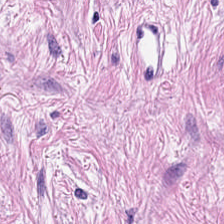Hematoxylin-and-eosin stained section.
Impression → cancer-associated stroma.
